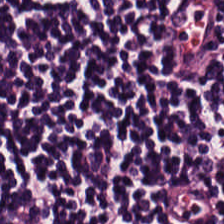Stain: hematoxylin and eosin.
Preparation: formalin-fixed paraffin-embedded section.
Resolution: 0.5 microns per pixel.
Tissue type: lymphocytic infiltrate.
